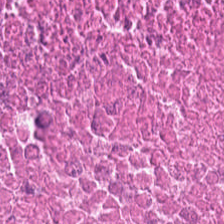H&E · WSI patch · 224×224 pixel tile. The tissue here is necrotic debris.
